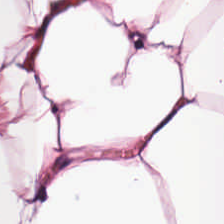Hematoxylin-and-eosin stained section — Tissue class — adipose tissue.
